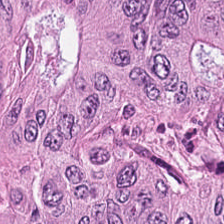FFPE; hematoxylin and eosin — Tissue = colorectal adenocarcinoma.
